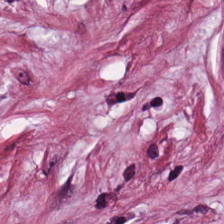The predominant tissue is tumor stroma.
